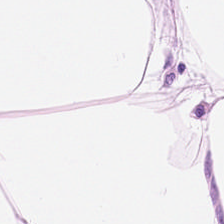Classification = adipose tissue.
